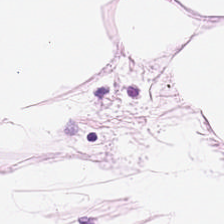Hematoxylin and eosin. Classification = fat tissue.
